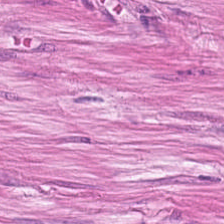FFPE; H&E stain. The tissue here is muscularis.
